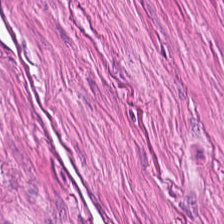Hematoxylin-and-eosin stained section; 20× equivalent magnification — Q: What tissue type is shown here?
A: The field shows smooth-muscle tissue.
